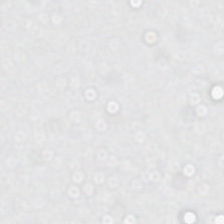Hematoxylin and eosin.
Content: background.
